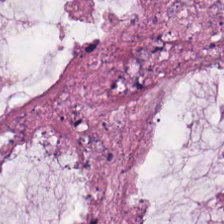H&E — mucin.
